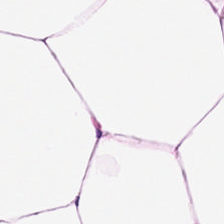Hematoxylin-and-eosin stained section. Q: What is shown here?
A: Fat tissue.
